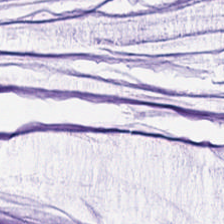H&E stain — Showing mucus.
